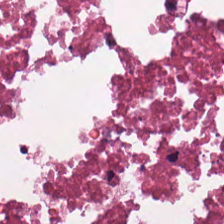Hematoxylin and eosin · FFPE tissue section.
Finding — necrotic debris.
